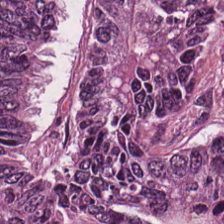Predominantly colorectal adenocarcinoma.
